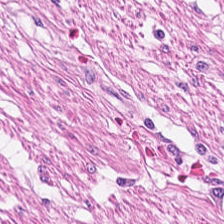Tissue = muscularis.
